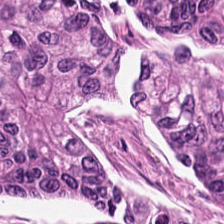H&E — Q: What is shown here?
A: It is colorectal adenocarcinoma epithelium.
